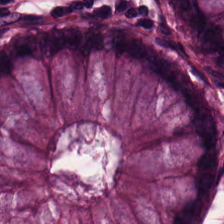H&E-stained tissue section · 224×224 px patch.
Histology → normal colonic mucosa.
